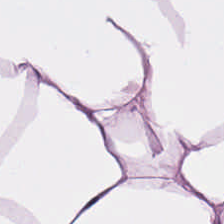H&E stain; formalin-fixed paraffin-embedded section — Showing adipose.
